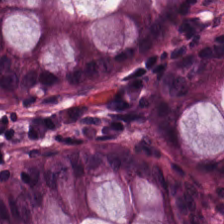Q: What is shown here?
A: The field shows benign colonic mucosa.
